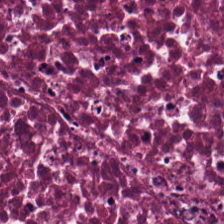WSI patch; H&E; 224×224 px tile.
The predominant tissue is necrotic debris.
